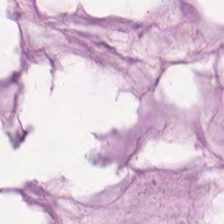Whole-slide-image patch; H&E — Classification = extracellular mucin.
